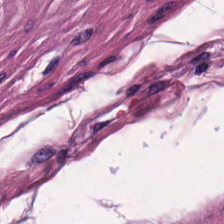0.5 µm per pixel. FFPE. Hematoxylin and eosin — The predominant tissue is smooth muscle.
